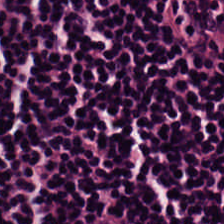H&E stain — Predominant tissue = lymphocytic infiltrate.
